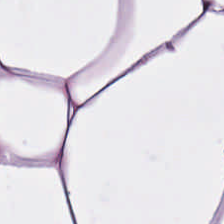Hematoxylin-and-eosin stained section — Finding → adipose.
